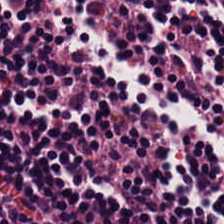Hematoxylin and eosin — Impression → lymphocyte aggregate.
